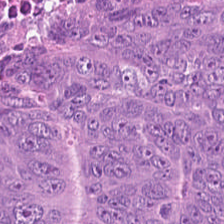Hematoxylin-and-eosin section: colorectal adenocarcinoma.
